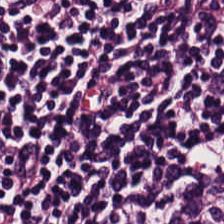Hematoxylin and eosin. The predominant tissue is lymphocytes.
